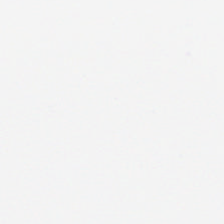H&E stain — No tissue present; background only.
